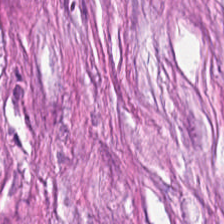FFPE tissue section · H&E stain. {"tissue_type": "desmoplastic stroma"}
